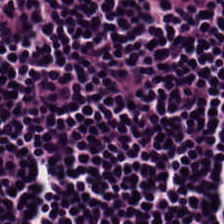H&E-stained tissue section. This patch shows lymphocytic infiltrate.
